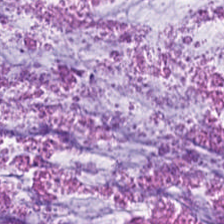H&E; 0.5 microns per pixel; 224×224 pixel tile. Extracellular mucin.
